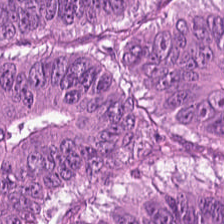Stain: H&E.
Tile size: 224×224 pixel tile.
Classification: colorectal adenocarcinoma.
